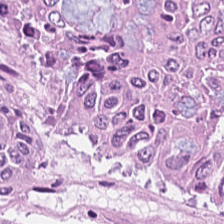Hematoxylin and eosin — Q: What is the predominant tissue type?
A: Malignant epithelium.
